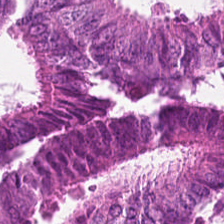Brightfield; H&E-stained tissue section — Q: Identify the tissue.
A: Malignant epithelium.
